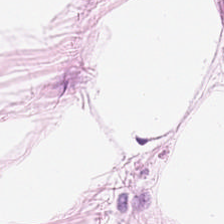Hematoxylin-and-eosin stained section · 224×224 pixel tile — This field is adipocytes.
